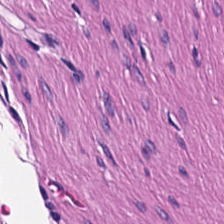Hematoxylin-and-eosin section: muscularis.
